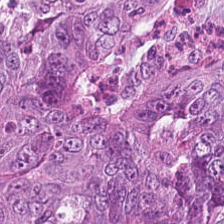Stain: hematoxylin and eosin.
Acquisition: brightfield microscopy.
Tissue type: colorectal adenocarcinoma epithelium.
